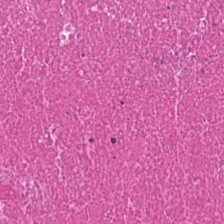Hematoxylin-and-eosin stained section. Q: Classify this patch.
A: The field shows necrotic debris.
